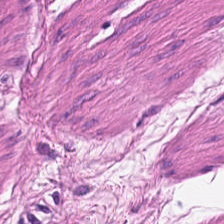Hematoxylin-and-eosin stained section.
Q: What type of tissue is this?
A: The field shows muscularis.
